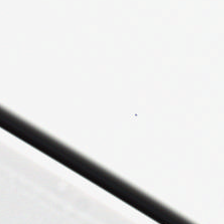Q: What does this patch show?
A: The field shows background.
